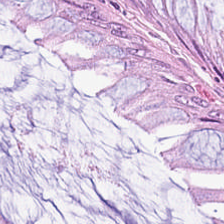Impression → benign colonic mucosa.
